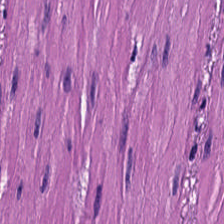H&E; brightfield; 224×224 px patch. This patch shows muscularis.
